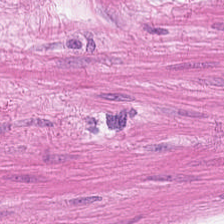Q: What is the predominant tissue type?
A: Smooth muscle.
